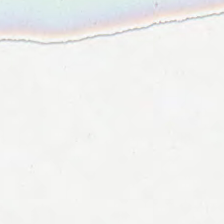Hematoxylin and eosin — Q: What does this patch show?
A: It is background.
